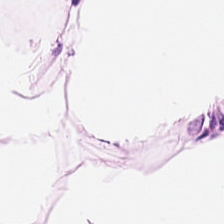Hematoxylin and eosin. This field is adipose.
